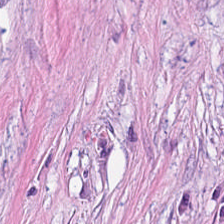Classification: cancer-associated stroma.
